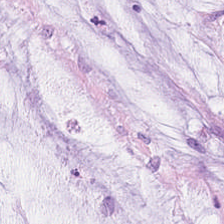Stain: hematoxylin and eosin.
Preparation: FFPE.
Predominant tissue: mucin.
